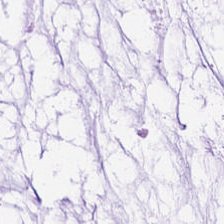H&E-stained tissue section. Finding — mucin.
